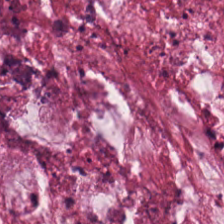H&E stain. Finding → mucin.
